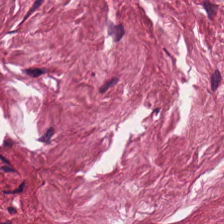Q: What is shown in this field?
A: This is tumor-associated stroma.
